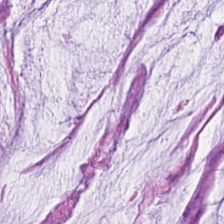0.5 microns per pixel. FFPE tissue section. H&E — Q: Classify this patch.
A: Extracellular mucin.
